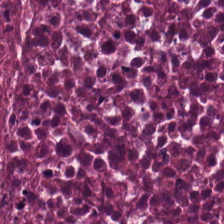FFPE tissue section · hematoxylin and eosin — The predominant tissue is cellular debris.
